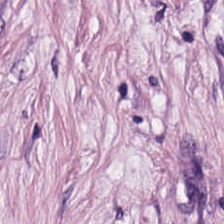Hematoxylin-and-eosin stained section.
Tissue type = tumor-associated stroma.
